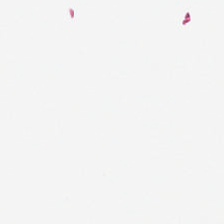WSI patch. 224×224 px patch. Hematoxylin and eosin. Field content: no tissue.
